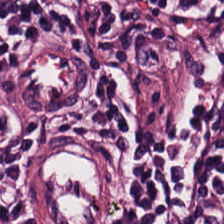Brightfield microscopy; 20× equivalent magnification; H&E-stained tissue section. Predominant tissue = lymphocytes.
